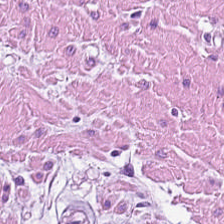The tissue here is muscularis.
